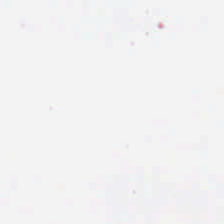0.5 µm/px. Hematoxylin-and-eosin stained section. 224×224 px tile. This patch shows no tissue.
